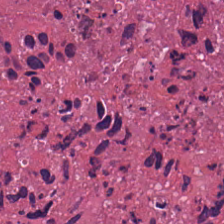Hematoxylin and eosin · 224×224 px patch · FFPE. Q: What tissue is shown?
A: This is cellular debris.
